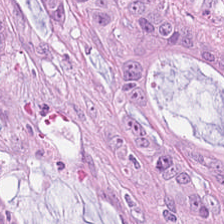H&E · 0.5 microns per pixel — Malignant epithelium.
